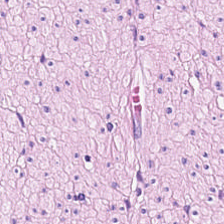H&E.
Q: Classify this patch.
A: This is smooth muscle.
